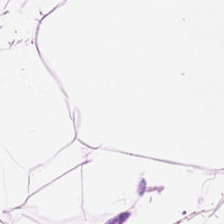Hematoxylin and eosin; 0.5 µm/px. The classification is adipose tissue.
